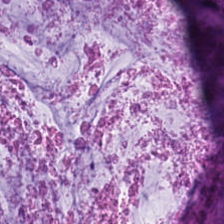Hematoxylin-and-eosin stained section. Impression — mucin.
